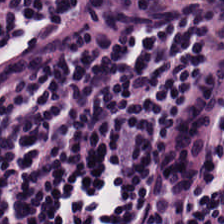H&E stain; 224×224 pixel tile. Q: What does this patch show?
A: This is lymphocyte aggregate.
